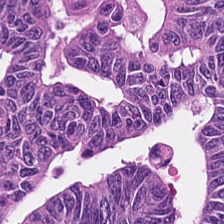Hematoxylin-and-eosin stained section. Brightfield microscopy — {"tissue_type": "tumor epithelium"}
